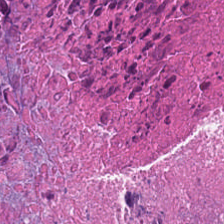224×224 px patch; brightfield; H&E. Classification: debris.
